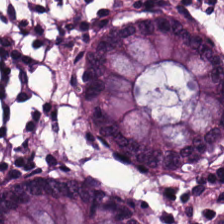The predominant tissue is non-neoplastic colon mucosa.
